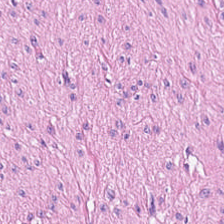H&E-stained tissue section.
Predominant tissue: muscularis.
